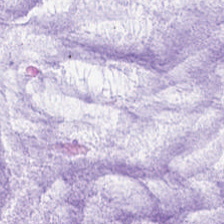H&E — Q: What is shown in this field?
A: The field shows extracellular mucin.
